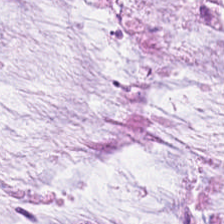Stain: H&E-stained tissue section.
Tissue: extracellular mucin.
